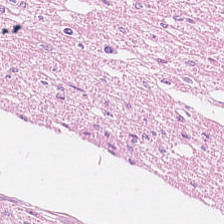Hematoxylin and eosin — The tissue here is muscularis.
